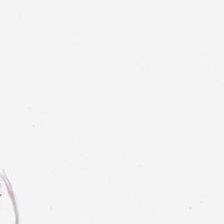Brightfield microscopy · hematoxylin-and-eosin stained section · 20× equivalent magnification.
Empty field — no tissue.
